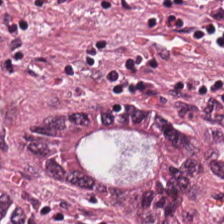Hematoxylin-and-eosin stained section · FFPE · 0.5 µm/px — Q: What tissue is shown?
A: Malignant epithelium.
